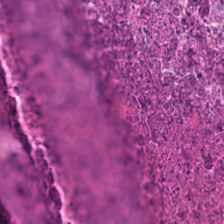0.5 µm/px; 224×224 px tile; H&E stain — Tissue class — cellular debris.
